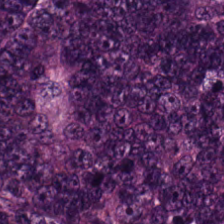Hematoxylin-and-eosin stained section; 20× equivalent magnification.
Finding — colorectal adenocarcinoma epithelium.
